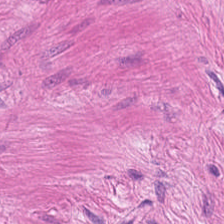Hematoxylin and eosin. 224×224 px patch. The classification is muscularis.
